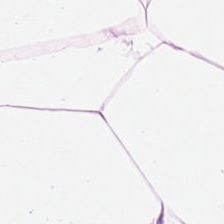FFPE; H&E — Finding — adipose tissue.
